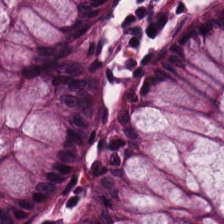The predominant tissue is normal colonic mucosa.
